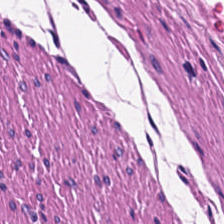FFPE tissue section · brightfield microscopy · hematoxylin and eosin. The tissue is smooth muscle.
